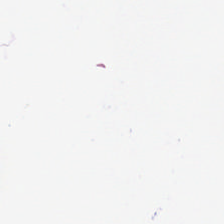20× equivalent magnification · hematoxylin-and-eosin stained section — The content is background.
